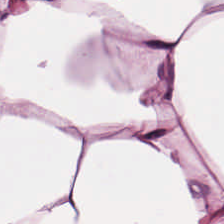Whole-slide-image patch · H&E.
Q: What is shown here?
A: The field shows fat tissue.
